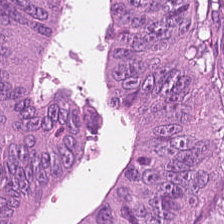Hematoxylin-and-eosin stained section. This field is colorectal adenocarcinoma epithelium.
